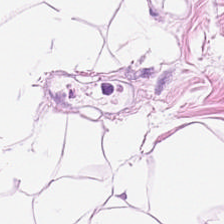Hematoxylin-and-eosin stained section. This patch shows adipocytes.
